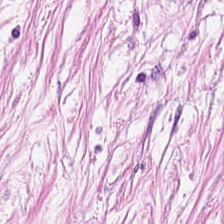Brightfield. Hematoxylin-and-eosin stained section.
The predominant tissue is cancer-associated stroma.
